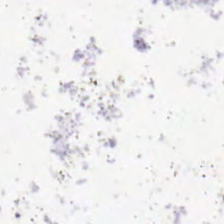This field is background (no tissue).
